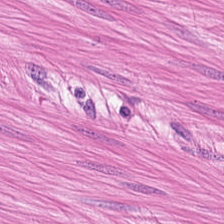20× equivalent magnification. H&E stain.
Tissue type — smooth-muscle tissue.
